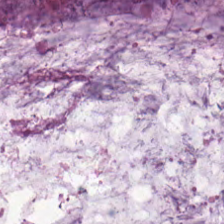0.5 µm/px. Hematoxylin-and-eosin stained section. Histology → mucin.
